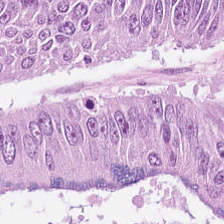Hematoxylin-and-eosin stained section. The classification is colorectal adenocarcinoma epithelium.
